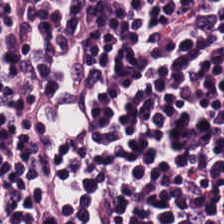H&E stain — Tissue = lymphocyte aggregate.
